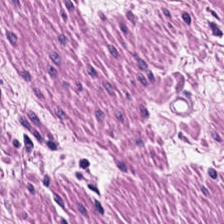Tissue type — muscularis.
